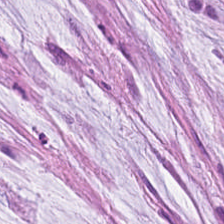Hematoxylin-and-eosin stained section · 224×224 px patch. This patch shows mucus.
